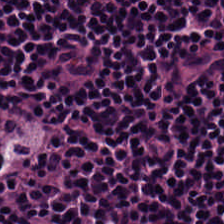Classification — lymphoid infiltrate.
